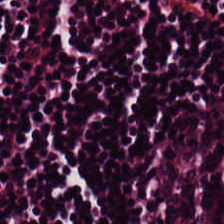Q: What type of tissue is this?
A: Lymphocytes.
